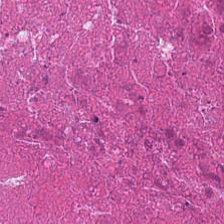Classification: necrotic debris.
